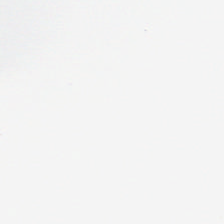Stain: hematoxylin and eosin.
Classification: background (no tissue).
